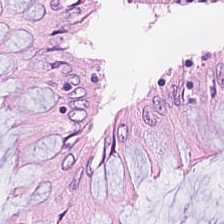H&E-stained tissue section.
Q: What tissue is shown?
A: It is non-neoplastic colon mucosa.
